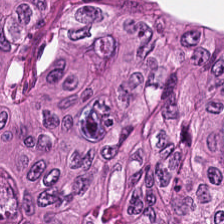FFPE. 224×224 px tile. H&E stain. Showing colorectal adenocarcinoma epithelium.
